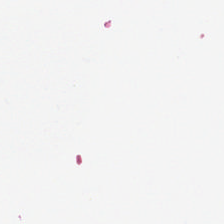H&E — This field is background (no tissue).
